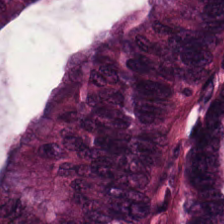Hematoxylin and eosin — This patch shows malignant epithelium.
